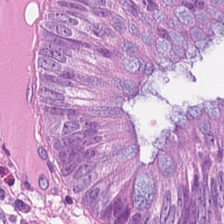224×224 px patch. Hematoxylin-and-eosin stained section.
Q: Identify the tissue.
A: The field shows tumor epithelium.
